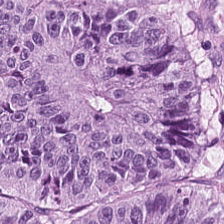H&E-stained tissue section.
Colorectal adenocarcinoma epithelium.
